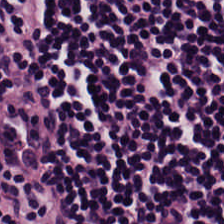Finding — lymphocytic infiltrate.
